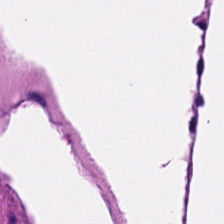224×224 px tile; H&E. Showing muscularis.
